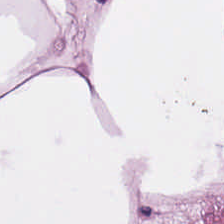Stain: hematoxylin-and-eosin stained section.
Tissue type: fat tissue.
